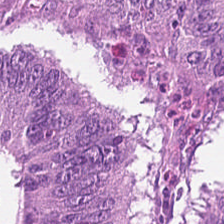Stain: H&E stain.
Tile size: 224×224 px patch.
Tissue type: malignant epithelium.
